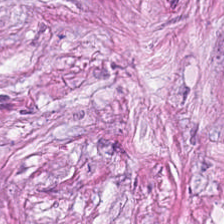Predominant tissue: desmoplastic stroma.
